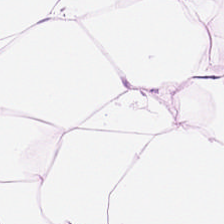H&E-stained tissue section. Predominantly adipocytes.
